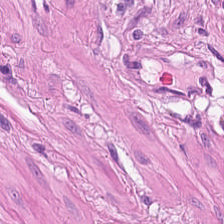Hematoxylin-and-eosin stained section — Tissue = smooth-muscle tissue.
